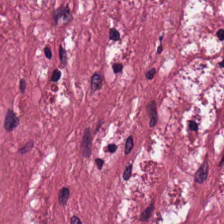224×224 px tile. FFPE tissue section. H&E. Finding → tumor-associated stroma.
